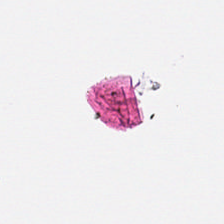Hematoxylin-and-eosin stained section; brightfield microscopy; 0.5 µm/px.
No tissue present; background only.
